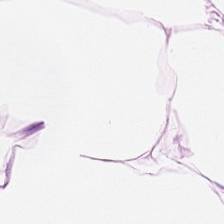Hematoxylin and eosin · 224×224 pixel tile — Histology → adipose tissue.
